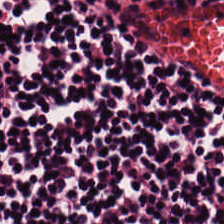Hematoxylin and eosin. Impression → lymphocytes.
